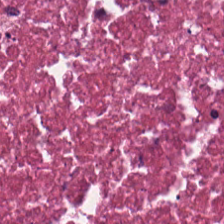H&E · FFPE.
Q: What is the predominant tissue type?
A: The field shows necrotic debris.
